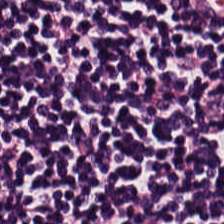FFPE tissue section. H&E. 224×224 px patch — Tissue: lymphoid infiltrate.
